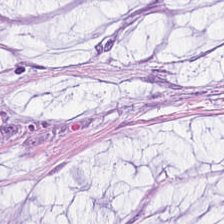Showing mucin.
